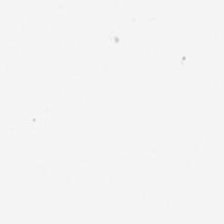H&E stain — The content is background.
